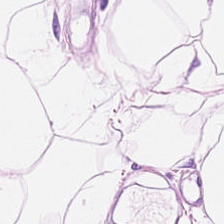The tissue here is adipose.
